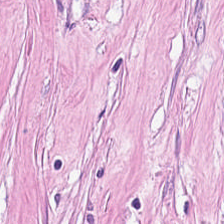Stain: hematoxylin and eosin.
Tissue: tumor-associated stroma.
